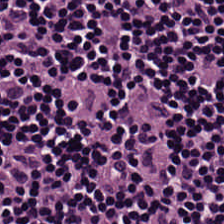Hematoxylin-and-eosin stained section.
Q: What type of tissue is this?
A: The field shows lymphoid infiltrate.
